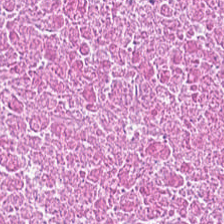H&E-stained tissue section. The tissue here is debris.
